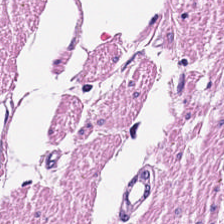Tissue — muscularis.
